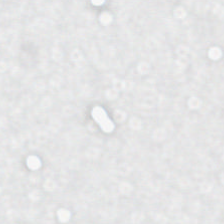H&E. Impression → empty background.
